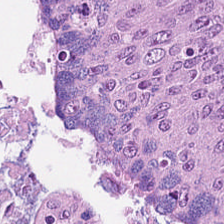This field is colorectal adenocarcinoma epithelium.
